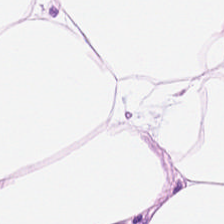H&E-stained tissue section. Predominant tissue = adipose.
